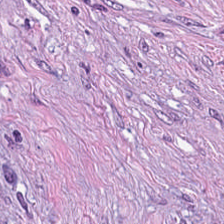The predominant tissue is tumor-associated stroma.
